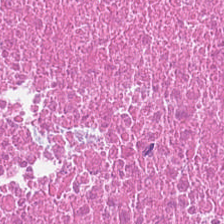Stain: H&E.
Tissue: debris.
